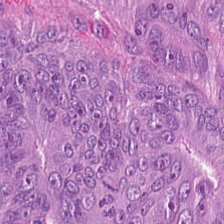Hematoxylin and eosin.
Tissue type = malignant epithelium.
